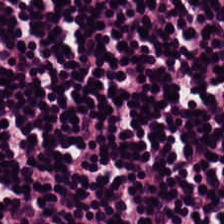Hematoxylin and eosin. Brightfield microscopy. Predominant tissue — lymphoid infiltrate.
